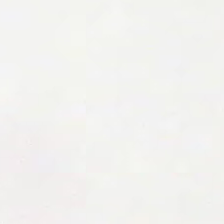Content: background (no tissue).
